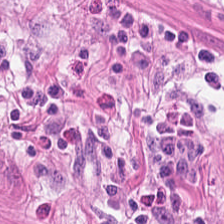Stain: H&E stain.
Tissue class: smooth-muscle tissue.
